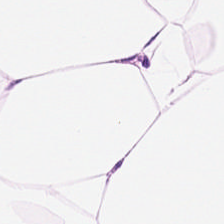Hematoxylin-and-eosin stained section — Predominant tissue = adipose.
